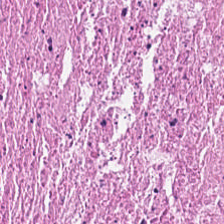Hematoxylin-and-eosin stained section — Classification — necrotic debris.
